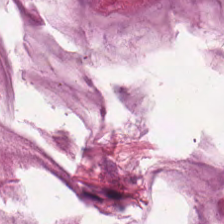FFPE · H&E. Impression → mucin.
